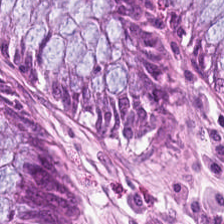224×224 px patch. Formalin-fixed paraffin-embedded section. Hematoxylin and eosin — Predominantly benign colonic mucosa.
